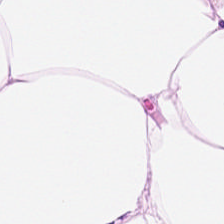Whole-slide-image patch; 224×224 px patch; hematoxylin-and-eosin stained section. The tissue here is adipocytes.
